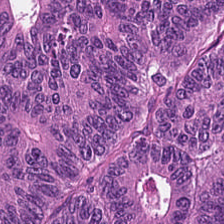H&E stain.
Impression → malignant epithelium.
